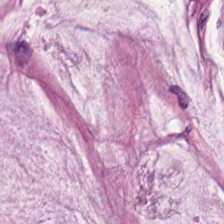H&E-stained tissue section. Classification — extracellular mucin.
